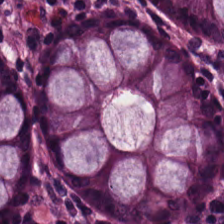H&E stain; FFPE tissue section; 224×224 px patch. This patch shows benign colonic mucosa.
